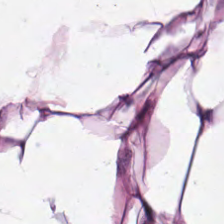Hematoxylin and eosin.
Finding → adipocytes.
